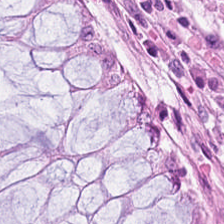H&E — Q: What tissue type is shown here?
A: This is normal colonic mucosa.
